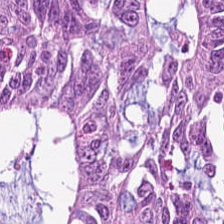H&E-stained tissue section. Q: What tissue is shown?
A: Colorectal adenocarcinoma epithelium.
